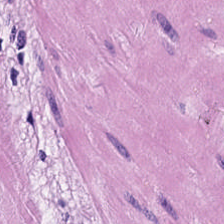20× equivalent magnification · H&E · FFPE tissue section.
{"tissue_type": "muscularis"}
